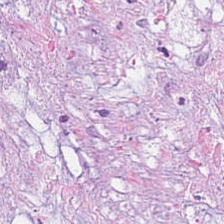Hematoxylin-and-eosin stained section.
The predominant tissue is extracellular mucin.
